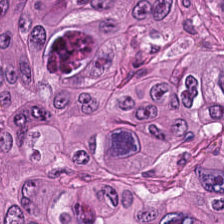H&E stain.
Predominantly tumor epithelium.
